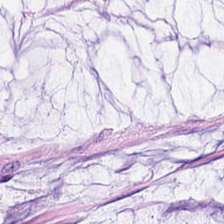0.5 µm/px; hematoxylin-and-eosin stained section. Q: What is shown in this field?
A: It is mucus.
